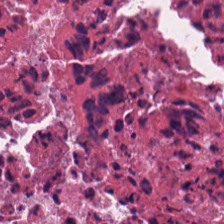H&E; 0.5 µm per pixel — Histology — debris.
